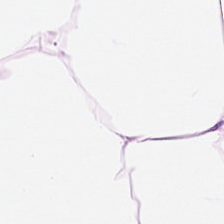H&E. FFPE tissue section. 20× equivalent magnification. The predominant tissue is adipose.
